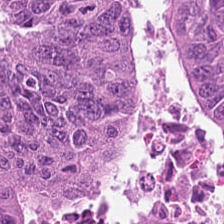H&E. FFPE tissue section — Q: Classify this patch.
A: Tumor epithelium.
